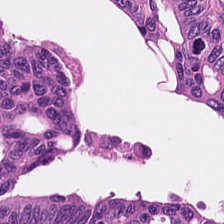0.5 µm/px. H&E-stained tissue section. FFPE — Finding → adenocarcinoma.
